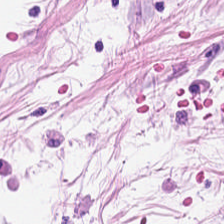Q: What does this patch show?
A: It is adipose.
